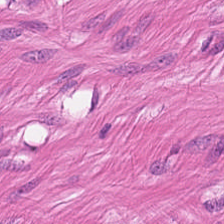H&E. Predominantly smooth muscle.
